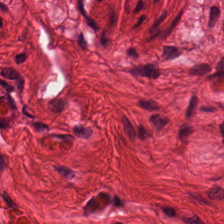H&E-stained tissue section · 0.5 µm per pixel.
Predominantly smooth-muscle tissue.
